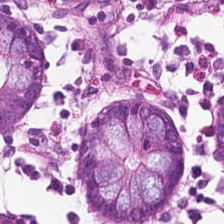Hematoxylin and eosin.
Q: What is shown here?
A: This is benign colonic mucosa.
